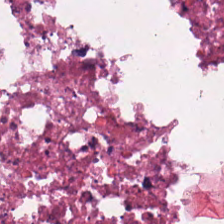H&E-stained tissue section — Q: Classify this patch.
A: It is debris.
